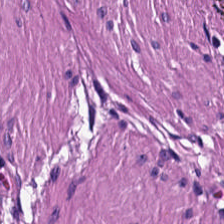Hematoxylin and eosin.
Tissue — smooth-muscle tissue.
